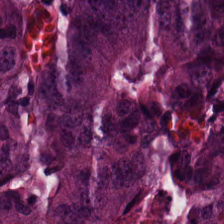H&E — Histology → colorectal adenocarcinoma epithelium.
